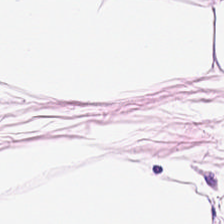Stain: H&E-stained tissue section.
Acquisition: brightfield.
Tissue: fat tissue.
